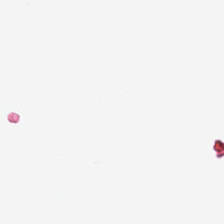Stain: H&E-stained tissue section.
Content: background.
